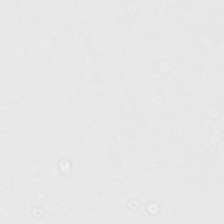H&E-stained tissue section.
Histology — background (no tissue).
